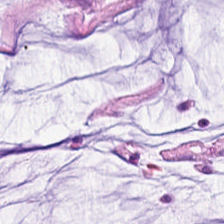H&E-stained tissue section.
The predominant tissue is mucus.
